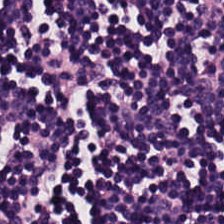{"tissue_type": "lymphocytic infiltrate"}
